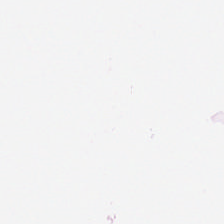H&E. Brightfield. 224×224 px patch.
Classification: adipose tissue.
